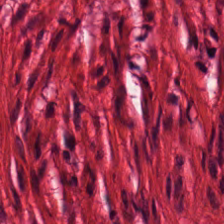Hematoxylin-and-eosin stained section.
Tissue class = smooth muscle.
